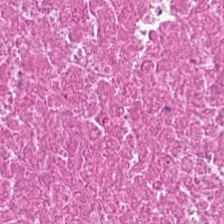Formalin-fixed paraffin-embedded section. Brightfield. H&E-stained tissue section.
Predominantly cellular debris.
